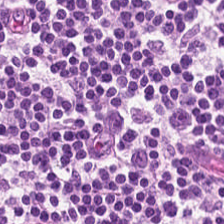Hematoxylin-and-eosin section: lymphoid infiltrate.
